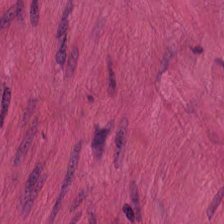This patch shows smooth muscle.
